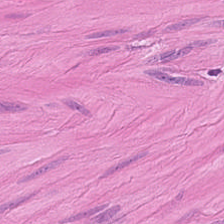H&E stain. Impression — smooth-muscle tissue.
